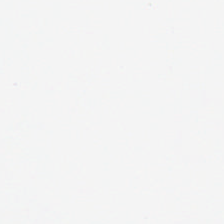This field is background (no tissue).
